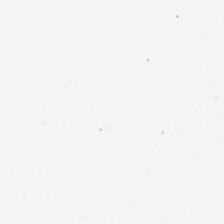Q: What does this patch show?
A: This is empty background.
